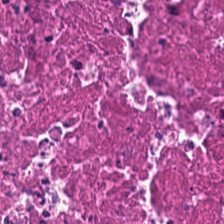Showing cellular debris.
